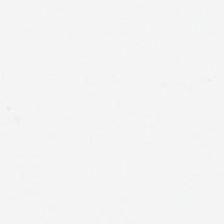Q: What does this patch show?
A: No tissue.
